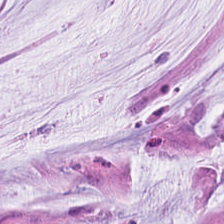H&E-stained tissue section · 224×224 pixel tile · brightfield. Classification — mucus.
